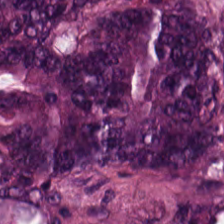H&E — The tissue type is adenocarcinoma.
